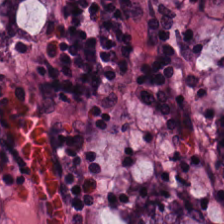The tissue class is benign colonic mucosa.
